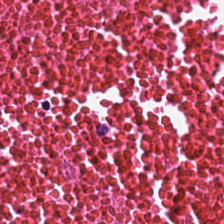Hematoxylin-and-eosin stained section.
This patch shows necrotic debris.
